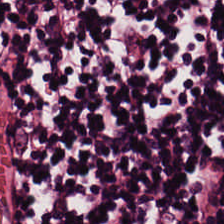0.5 µm per pixel; hematoxylin and eosin.
Q: What is shown here?
A: The field shows lymphocytes.
